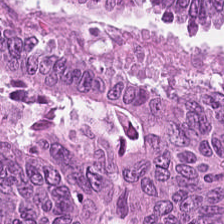H&E.
Showing colorectal adenocarcinoma epithelium.
